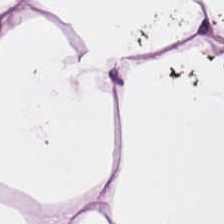Hematoxylin and eosin. Q: What type of tissue is this?
A: It is adipocytes.
